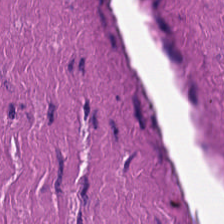Hematoxylin and eosin.
The tissue class is muscularis.
